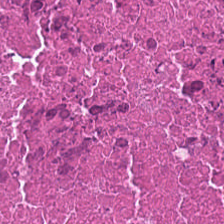Hematoxylin and eosin; FFPE tissue section — This field is cellular debris.
